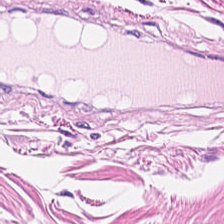Tissue type: muscularis.
